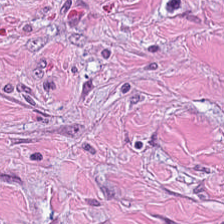H&E-stained tissue section showing tumor-associated stroma.
